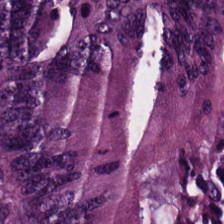Formalin-fixed paraffin-embedded section · 224×224 px tile · H&E. Tissue class — tumor epithelium.
